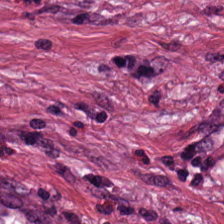Hematoxylin and eosin — Predominant tissue = desmoplastic stroma.
